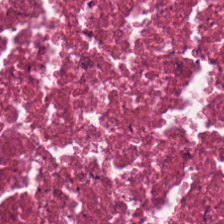Hematoxylin and eosin.
Histology → necrotic debris.
